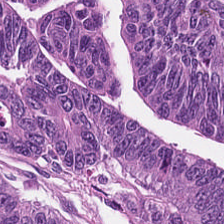Hematoxylin and eosin — Predominant tissue = tumor epithelium.
